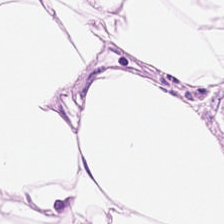H&E-stained tissue section. {"tissue_type": "fat tissue"}
